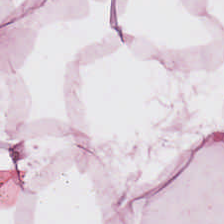Formalin-fixed paraffin-embedded section; hematoxylin-and-eosin stained section.
Q: What is shown here?
A: The field shows adipocytes.
